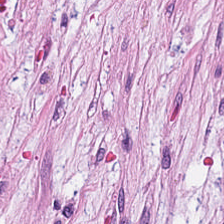H&E-stained tissue section. Q: What tissue type is shown here?
A: It is tumor stroma.
